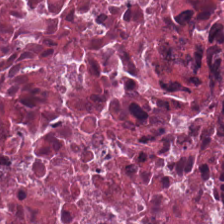H&E stain. Classification = debris.
